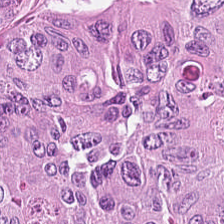Finding — tumor epithelium.
